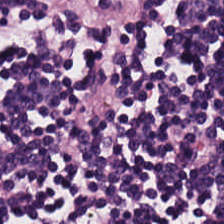Brightfield · H&E · 0.5 µm per pixel. {"tissue_type": "lymphoid infiltrate"}
